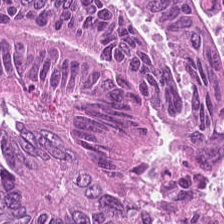Brightfield · H&E-stained tissue section — The tissue here is tumor epithelium.
